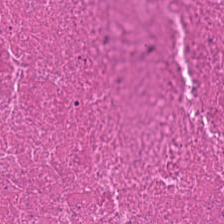Hematoxylin and eosin; formalin-fixed paraffin-embedded section — Impression → cellular debris.
